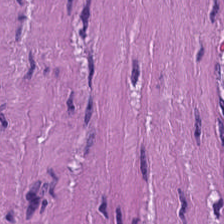H&E. This field is smooth-muscle tissue.
